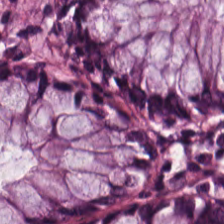H&E-stained tissue section; 224×224 px tile.
This patch shows non-neoplastic colon mucosa.
